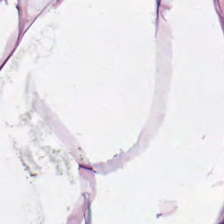Tissue class = adipocytes.
